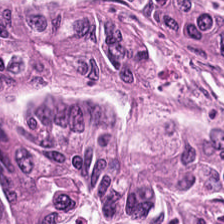Predominant tissue: tumor epithelium.
